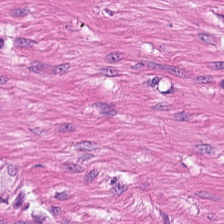0.5 µm per pixel; FFPE; H&E-stained tissue section.
Predominantly smooth muscle.
